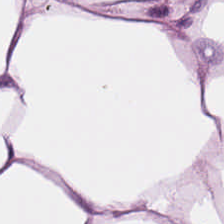H&E stain.
{"tissue_type": "fat tissue"}
